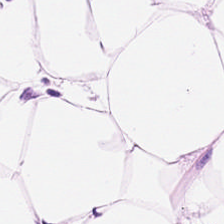H&E stain — {"tissue_type": "adipose tissue"}
